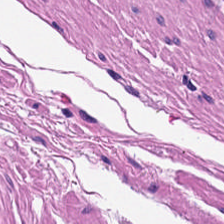Classification = smooth muscle.
